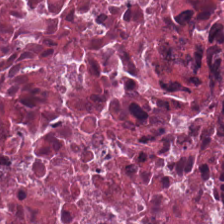Hematoxylin and eosin. Finding — necrotic debris.
